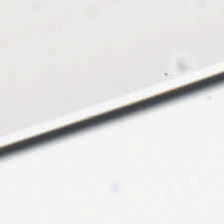The classification is no tissue.
